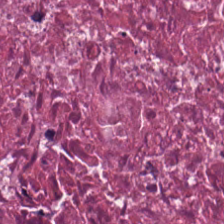Stain: hematoxylin and eosin.
Predominant tissue: necrotic debris.
